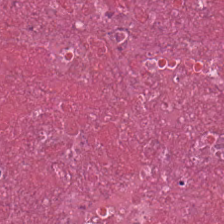Hematoxylin and eosin; 0.5 µm/px; FFPE tissue section. The classification is debris.
